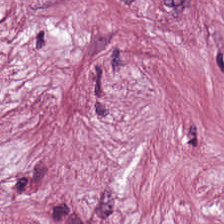0.5 µm/px · brightfield · hematoxylin-and-eosin stained section — The predominant tissue is cancer-associated stroma.
